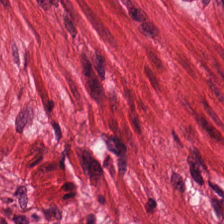Hematoxylin-and-eosin stained section — This field is muscularis.
